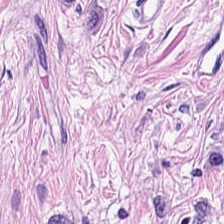Histology — tumor-associated stroma.
